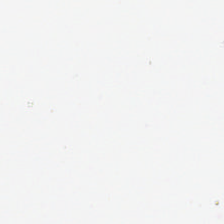H&E.
This patch shows no tissue.
